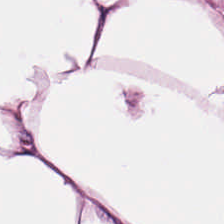This field is adipose tissue.
